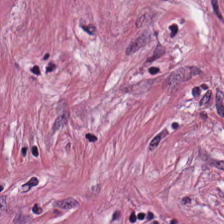H&E.
{"tissue_type": "tumor stroma"}
